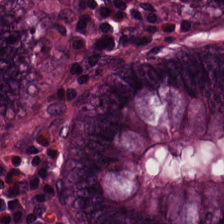H&E stain. The tissue here is non-neoplastic colon mucosa.
